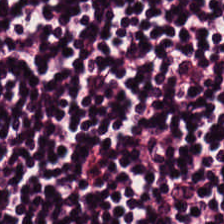Hematoxylin and eosin. Showing lymphoid infiltrate.
